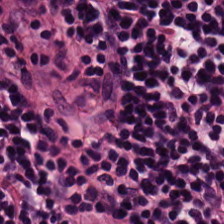Whole-slide-image patch. 224×224 px patch. H&E-stained tissue section — This patch shows lymphocytic infiltrate.
